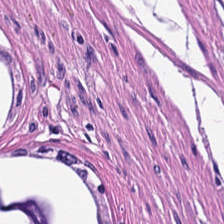Stain: H&E-stained tissue section.
Tissue class: smooth-muscle tissue.
